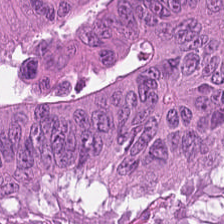H&E-stained tissue section.
This field is tumor epithelium.
